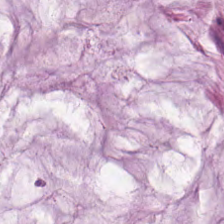H&E-stained tissue section. Finding → mucin.
